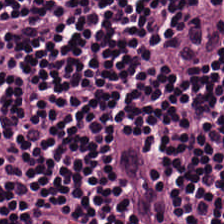Brightfield microscopy. H&E. Formalin-fixed paraffin-embedded section.
Impression — lymphoid infiltrate.
